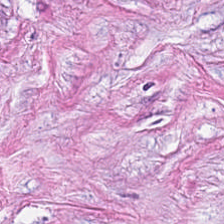Predominant tissue: desmoplastic stroma.
